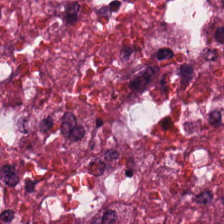Hematoxylin and eosin — Tissue class: necrotic debris.
